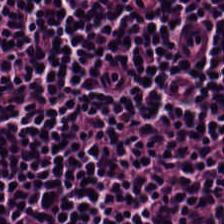H&E stain; formalin-fixed paraffin-embedded section.
Finding — lymphocytes.
